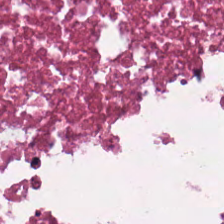Hematoxylin and eosin. The predominant tissue is necrotic debris.
